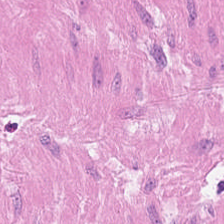Hematoxylin-and-eosin stained section.
This patch shows smooth muscle.
